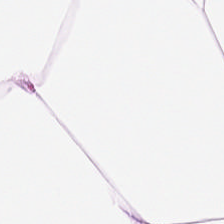H&E. Tissue — fat tissue.
